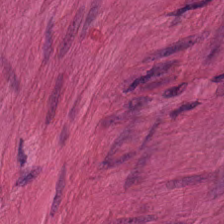Formalin-fixed paraffin-embedded section; 224×224 px patch; H&E stain — Smooth-muscle tissue.
